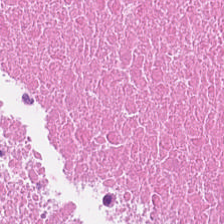Q: What tissue type is shown here?
A: It is necrotic debris.
